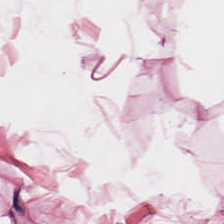224×224 px tile; H&E stain; whole-slide-image patch.
Predominant tissue = adipose tissue.
